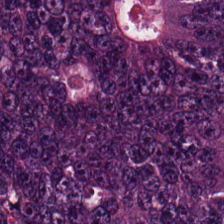Stain: hematoxylin and eosin.
Tissue: adenocarcinoma.
